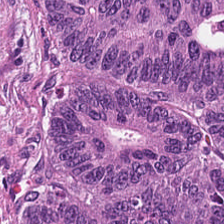Histology → malignant epithelium.
